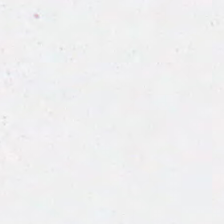224×224 px tile · 0.5 µm/px · H&E stain — Q: What does this patch show?
A: No tissue.
